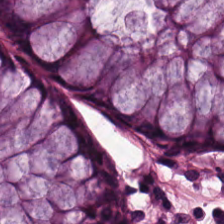0.5 microns per pixel · H&E stain · whole-slide-image patch. Normal colon mucosa.
